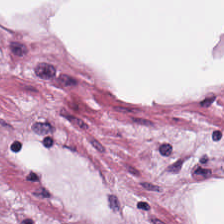FFPE tissue section · H&E-stained tissue section · WSI patch — The tissue here is adipose.
